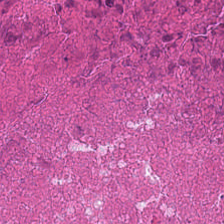Hematoxylin and eosin. Predominantly cellular debris.
